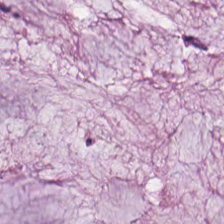Hematoxylin-and-eosin stained section. 0.5 microns per pixel. Brightfield microscopy — The tissue is extracellular mucin.
